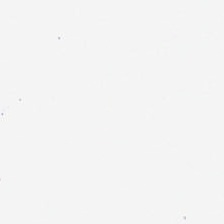Formalin-fixed paraffin-embedded section · H&E-stained tissue section.
The classification is empty background.
